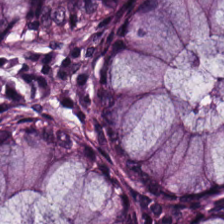0.5 µm per pixel; H&E-stained tissue section.
Finding — normal colonic mucosa.
